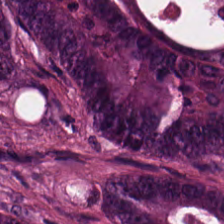Tissue class: colorectal adenocarcinoma.
